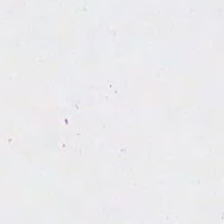0.5 microns per pixel; 224×224 pixel tile; H&E.
Classification — background.
